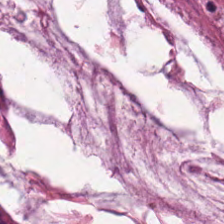Hematoxylin-and-eosin stained section — This patch shows extracellular mucin.
